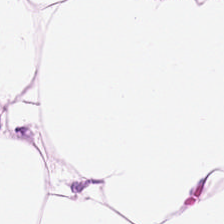Stain: H&E-stained tissue section.
Predominant tissue: adipose.
